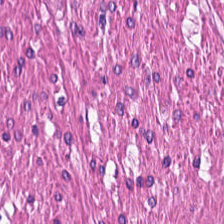Hematoxylin and eosin · 224×224 pixel tile.
Histology — smooth-muscle tissue.
